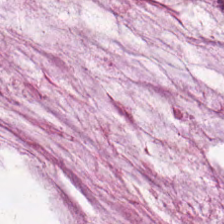The predominant tissue is extracellular mucin.
